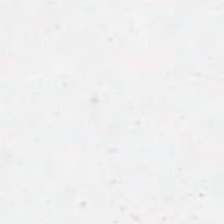H&E — Background — no tissue in this field.
